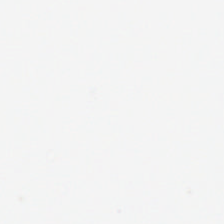H&E-stained tissue section. This patch shows no tissue.
